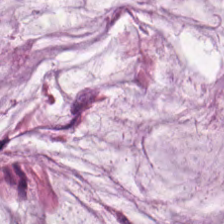Stain: H&E-stained tissue section.
Tissue type: mucin.
